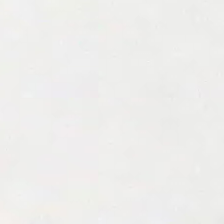Hematoxylin-and-eosin stained section. {"content": "no tissue"}
